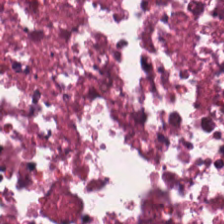H&E stain.
This field is debris.
